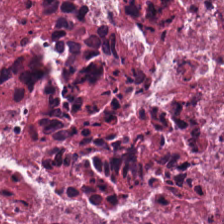H&E.
Cellular debris.
